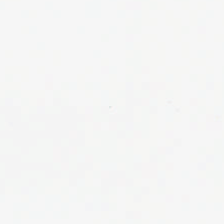H&E stain. This patch shows background (no tissue).
